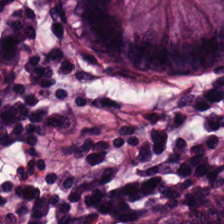Hematoxylin and eosin — Normal colon mucosa.
